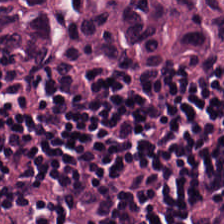Q: What does this patch show?
A: This is lymphocyte aggregate.
